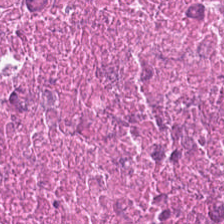H&E stain; 224×224 pixel tile.
Debris.
